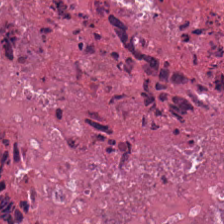Hematoxylin and eosin. FFPE — This patch shows necrotic debris.
